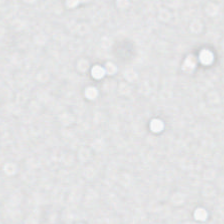This field is background (no tissue).
